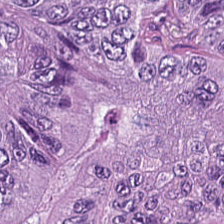This field is malignant epithelium.
